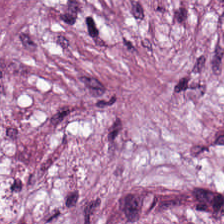H&E.
Q: What is the predominant tissue type?
A: This is tumor stroma.
